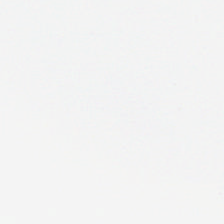FFPE tissue section; 20× equivalent magnification; H&E-stained tissue section.
Q: What is shown here?
A: Background.
